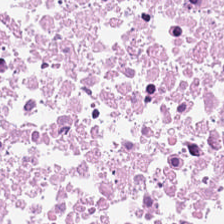Necrotic debris.
